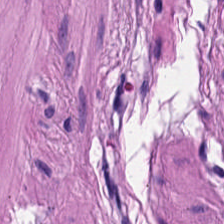The tissue is muscularis.
